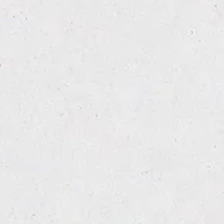0.5 µm per pixel · H&E-stained tissue section. Empty field — background.
